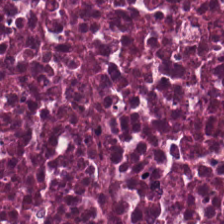H&E-stained tissue section. Debris.
